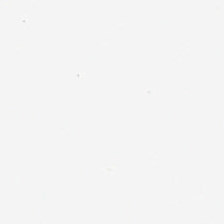FFPE tissue section; hematoxylin and eosin; 20× equivalent magnification. The content is background (no tissue).
